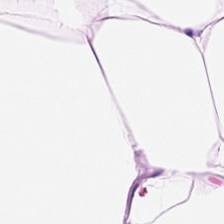H&E stain. Brightfield. 224×224 pixel tile — This patch shows adipose tissue.
